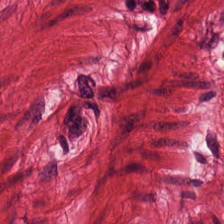H&E-stained tissue section. Tissue = smooth muscle.
